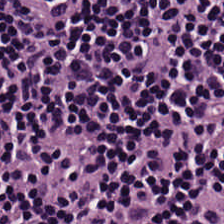Finding — lymphocytic infiltrate.
